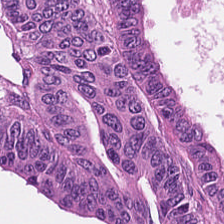Hematoxylin-and-eosin stained section — {"tissue_type": "malignant epithelium"}
